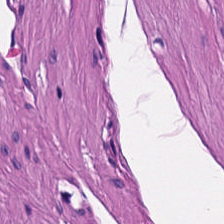Hematoxylin and eosin. Histology — smooth muscle.
